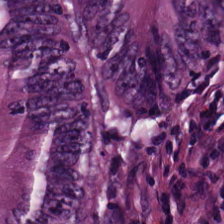Hematoxylin-and-eosin stained section · FFPE tissue section — Showing tumor epithelium.
